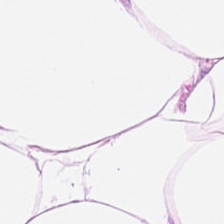H&E stain · 0.5 µm/px.
Q: What tissue type is shown here?
A: This is adipose tissue.
